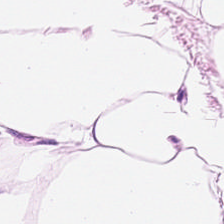Hematoxylin and eosin.
The tissue type is adipocytes.
